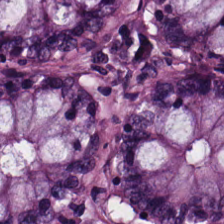Hematoxylin and eosin.
The predominant tissue is normal colonic mucosa.
